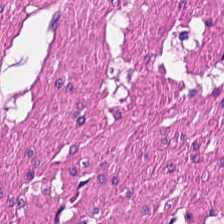H&E stain. Q: What is shown in this field?
A: It is muscularis.
